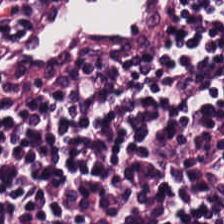H&E stain — Q: What type of tissue is this?
A: This is lymphocytes.
